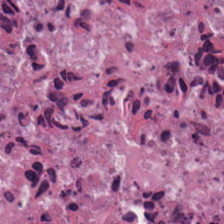This field is necrotic debris.
